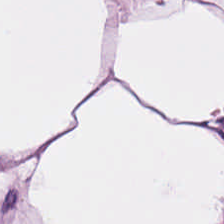Q: What is the predominant tissue type?
A: It is fat tissue.
